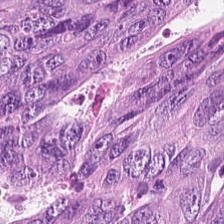20× equivalent magnification · hematoxylin-and-eosin stained section.
Tissue — malignant epithelium.
